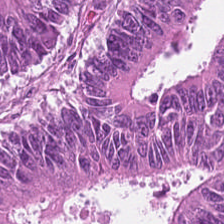H&E patch showing colorectal adenocarcinoma epithelium.
